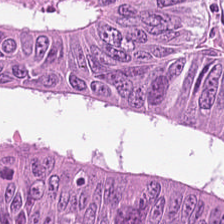H&E stain — The predominant tissue is malignant epithelium.
